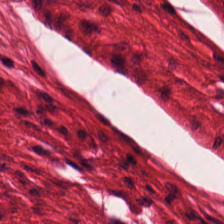H&E patch showing muscularis.
